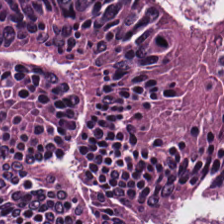Impression → tumor epithelium.
